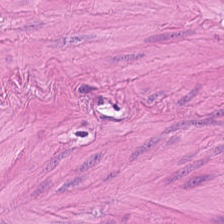Tissue type: smooth-muscle tissue.
